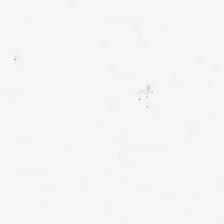H&E-stained tissue section — Content — empty background.
